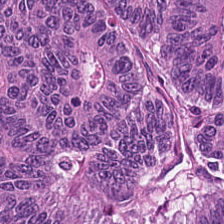Hematoxylin-and-eosin stained section. This field is adenocarcinoma.
